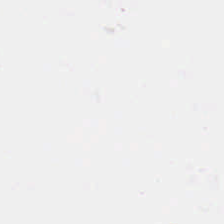H&E stain. No tissue present; background only.
